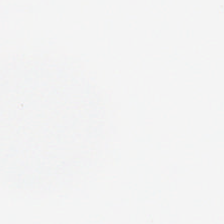20× equivalent magnification. Hematoxylin and eosin. 224×224 px tile — The classification is background (no tissue).
